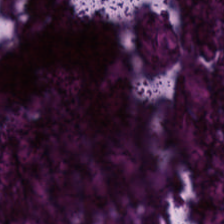Hematoxylin-and-eosin stained section.
Predominant tissue: debris.
